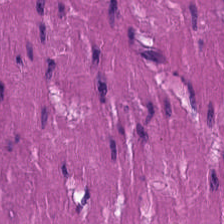H&E stain.
Histology → smooth-muscle tissue.
